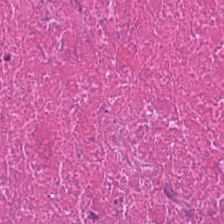Stain: H&E stain.
Preparation: FFPE tissue section.
Tissue: debris.
